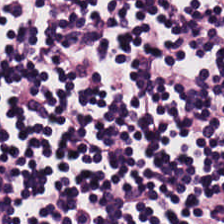H&E. This patch shows lymphocytes.
